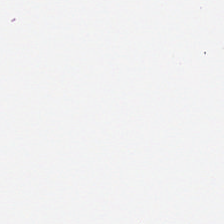Hematoxylin and eosin — This patch shows background.
